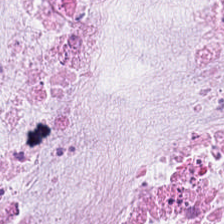Hematoxylin and eosin. FFPE — Q: What is shown here?
A: This is mucin.
